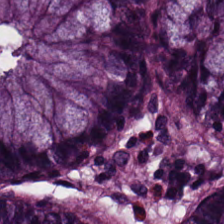The predominant tissue is non-neoplastic colon mucosa.
